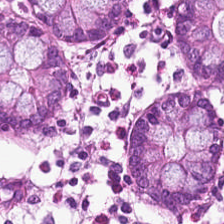Q: Classify this patch.
A: The field shows normal colonic mucosa.
